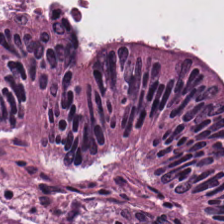H&E-stained section; the field shows adenocarcinoma.
